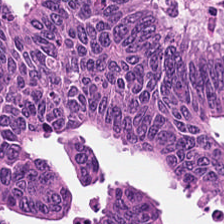H&E-stained tissue section. Formalin-fixed paraffin-embedded section.
Tissue class: tumor epithelium.
